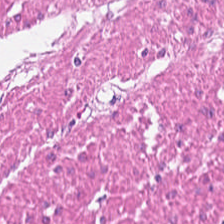H&E stain — Showing muscularis.
